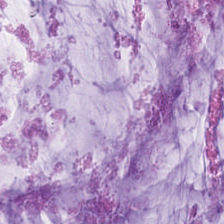Hematoxylin and eosin — Showing mucin.
